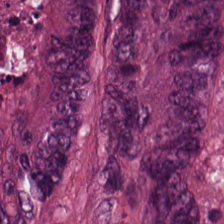Stain: hematoxylin-and-eosin stained section.
Tissue class: tumor epithelium.
